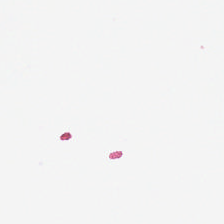Hematoxylin-and-eosin stained section · 0.5 µm per pixel.
Q: Classify this patch.
A: It is background (no tissue).
